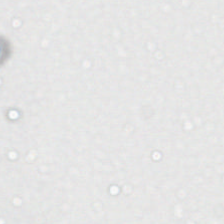H&E · WSI patch — Classification: background (no tissue).
